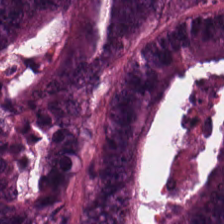Hematoxylin-and-eosin stained section · WSI patch · 0.5 µm/px.
The tissue here is colorectal adenocarcinoma.
